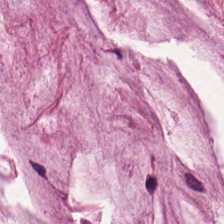0.5 µm per pixel; 224×224 px patch; hematoxylin-and-eosin stained section.
Extracellular mucin.
